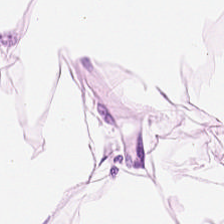Whole-slide-image patch. Hematoxylin-and-eosin stained section. 0.5 microns per pixel. Showing adipose.
